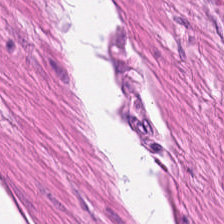Stain: H&E.
Predominant tissue: smooth-muscle tissue.
